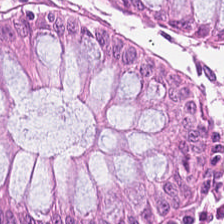H&E stain — The predominant tissue is normal colonic mucosa.
